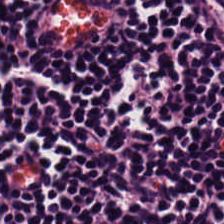Predominant tissue — lymphoid infiltrate.
